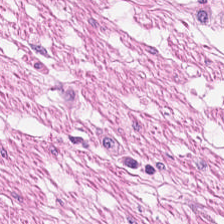H&E patch showing smooth-muscle tissue.
